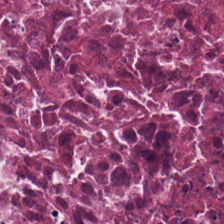224×224 pixel tile · hematoxylin and eosin — Predominant tissue = necrotic debris.
